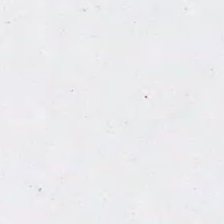Classification — empty background.
